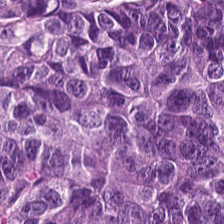H&E stain; 0.5 microns per pixel; WSI patch — Finding — malignant epithelium.
